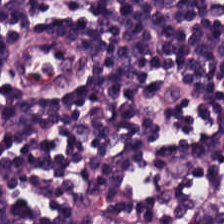Stain: hematoxylin-and-eosin stained section.
Tile size: 224×224 pixel tile.
Acquisition: brightfield microscopy.
Classification: lymphocyte aggregate.
